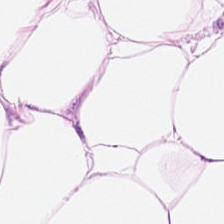Stain: H&E-stained tissue section.
Preparation: FFPE tissue section.
Tile size: 224×224 px patch.
Classification: adipose.
